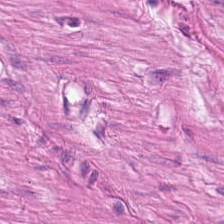Stain: H&E.
Tissue type: smooth muscle.
